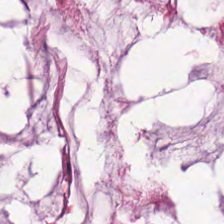Stain: H&E stain.
Predominant tissue: extracellular mucin.
